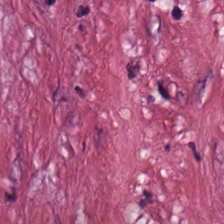H&E — Impression — desmoplastic stroma.
